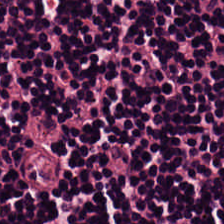Hematoxylin and eosin. FFPE tissue section. The tissue is lymphocytic infiltrate.
